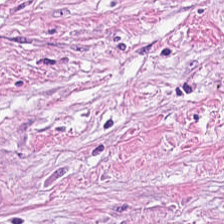Brightfield microscopy; hematoxylin and eosin. Desmoplastic stroma.
